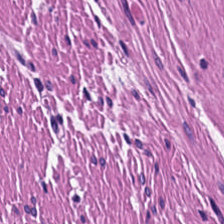H&E stain — Showing muscularis.
